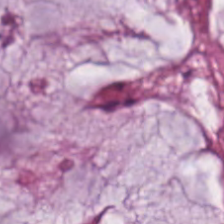Finding — mucin.
